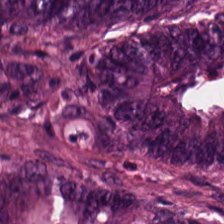H&E stain · 0.5 microns per pixel · 224×224 pixel tile — {"tissue_type": "malignant epithelium"}
